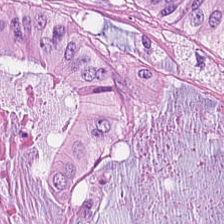H&E. The predominant tissue is tumor epithelium.
